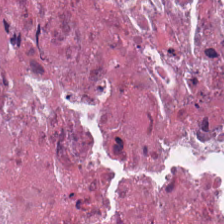224×224 px patch · H&E. The tissue is cellular debris.
